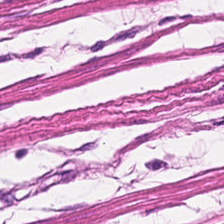H&E stain.
Showing smooth muscle.
